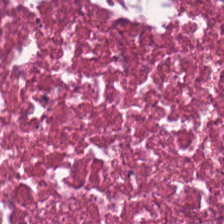{"tissue_type": "necrotic debris"}
